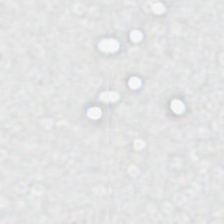Stain: H&E stain.
Acquisition: WSI patch.
Classification: background.
